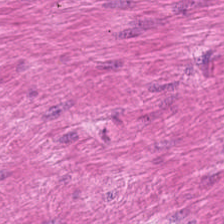H&E — Q: What does this patch show?
A: It is muscularis.
